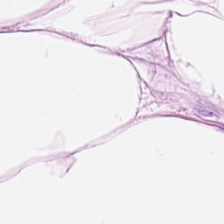Q: What is shown here?
A: The field shows adipose tissue.
